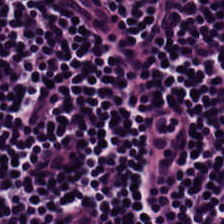H&E-stained tissue section. The tissue here is lymphoid infiltrate.
